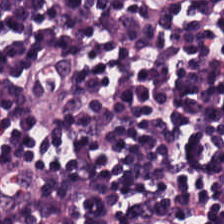H&E stain.
This patch shows lymphoid infiltrate.
